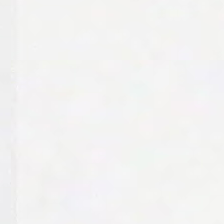Stain: hematoxylin-and-eosin stained section.
Content: background (no tissue).
